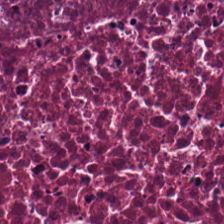Hematoxylin-and-eosin stained section. WSI patch.
This field is cellular debris.
